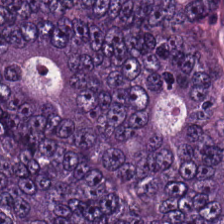This patch shows adenocarcinoma.
